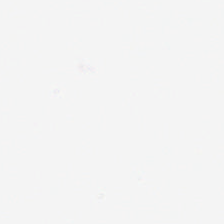Hematoxylin-and-eosin stained section. FFPE. Q: What is shown in this field?
A: This is background.
